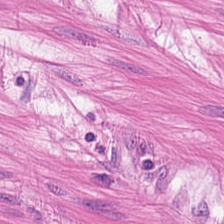Hematoxylin-and-eosin stained section. Formalin-fixed paraffin-embedded section.
The tissue class is muscularis.
